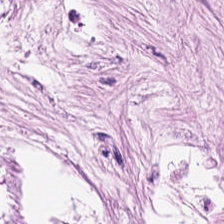H&E. Tissue class = cancer-associated stroma.
